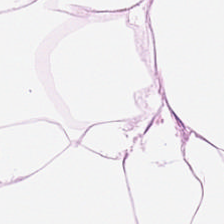Hematoxylin and eosin. Whole-slide-image patch. 20× equivalent magnification — Q: What is shown here?
A: Adipose tissue.
